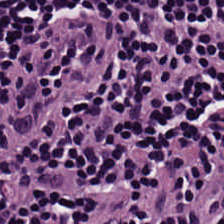H&E — Tissue class — lymphocytes.
